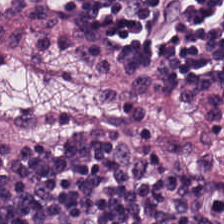Stain: H&E stain.
Tissue type: lymphocytes.
